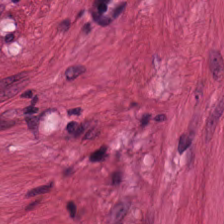H&E-stained tissue section.
The tissue type is smooth-muscle tissue.
